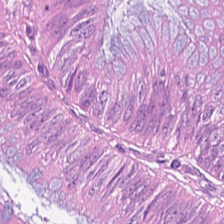Predominant tissue = adenocarcinoma.
